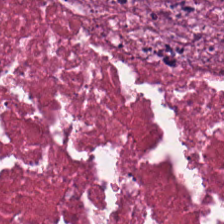H&E stain · 224×224 px patch · FFPE.
{"tissue_type": "necrotic debris"}
